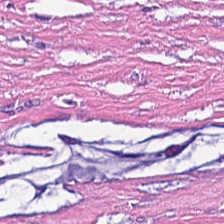Hematoxylin-and-eosin stained section; 224×224 px tile; 20× equivalent magnification — Classification — desmoplastic stroma.
